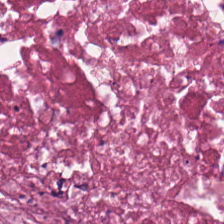Hematoxylin-and-eosin stained section · 224×224 px tile — Histology — cellular debris.
